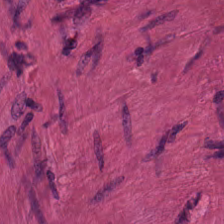Stain: H&E-stained tissue section.
Predominant tissue: smooth muscle.
